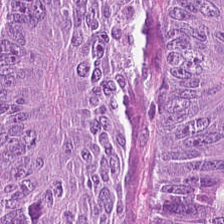Q: What type of tissue is this?
A: It is adenocarcinoma.
